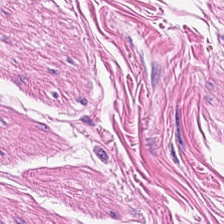H&E stain.
Showing smooth muscle.
